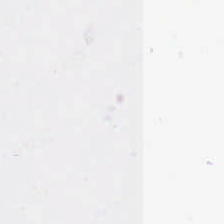H&E-stained tissue section · 20× equivalent magnification.
Q: What is shown here?
A: It is background (no tissue).
